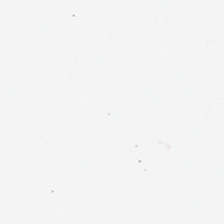H&E stain.
This patch shows adipose.
